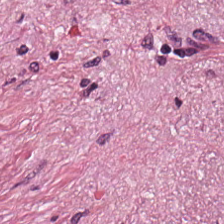0.5 microns per pixel · H&E stain · FFPE tissue section — Q: What tissue type is shown here?
A: Cancer-associated stroma.
